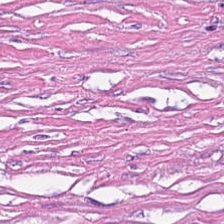Stain: H&E stain.
Preparation: FFPE.
Tissue type: cancer-associated stroma.
